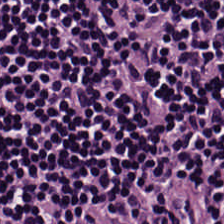H&E-stained tissue section; 224×224 pixel tile. Classification = lymphocyte aggregate.
